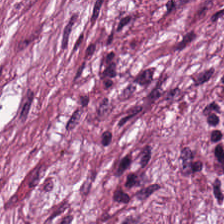Q: What tissue type is shown here?
A: Desmoplastic stroma.
